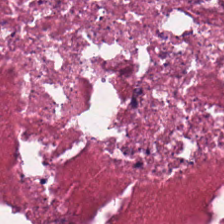Brightfield · hematoxylin-and-eosin stained section · 224×224 px patch — {"tissue_type": "debris"}
